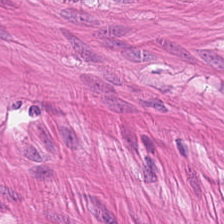Hematoxylin-and-eosin stained section. Whole-slide-image patch. {"tissue_type": "muscularis"}
